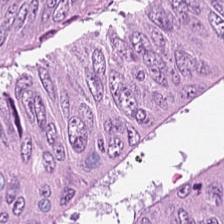The tissue here is colorectal adenocarcinoma.
